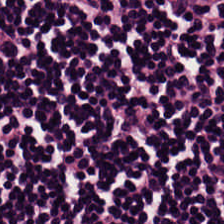Hematoxylin-and-eosin stained section.
Finding → lymphoid infiltrate.
